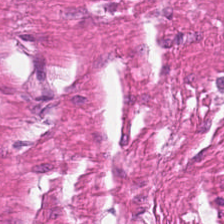Showing smooth muscle.
